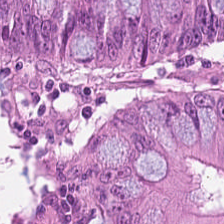Hematoxylin-and-eosin stained section — Adenocarcinoma.
